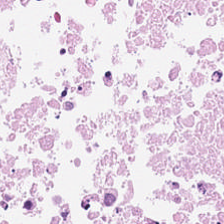Hematoxylin and eosin. FFPE tissue section.
Q: Identify the tissue.
A: Cellular debris.
